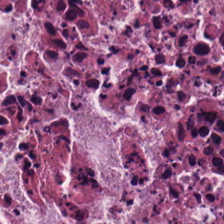Tissue = necrotic debris.
